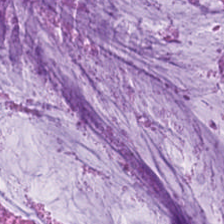Brightfield. Hematoxylin and eosin — The tissue class is mucus.
